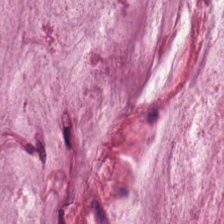0.5 microns per pixel · hematoxylin-and-eosin stained section.
Q: What is the predominant tissue type?
A: Mucin.
